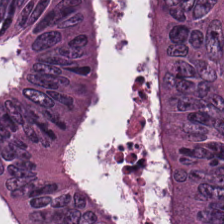Q: What is shown here?
A: It is colorectal adenocarcinoma.
